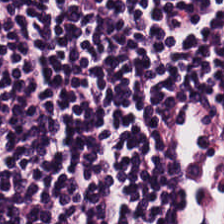Brightfield microscopy · 224×224 px patch · H&E — The tissue type is lymphocytic infiltrate.
